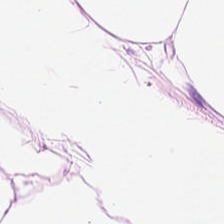Whole-slide-image patch. 224×224 pixel tile. Hematoxylin and eosin.
Finding — fat tissue.
